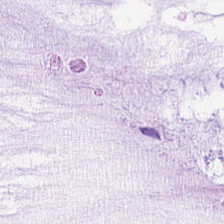Hematoxylin and eosin — Q: What is the predominant tissue type?
A: This is extracellular mucin.
